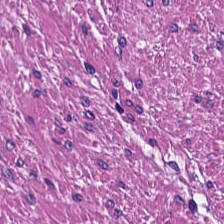Hematoxylin and eosin — Classification: smooth muscle.
